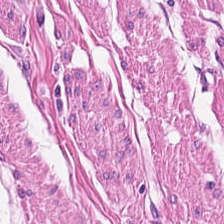H&E-stained tissue section. 0.5 µm/px.
Predominantly muscularis.
